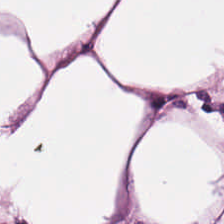H&E.
Q: What tissue type is shown here?
A: This is adipose tissue.
